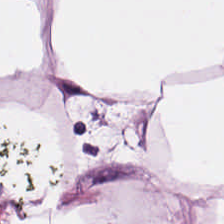Hematoxylin and eosin. Q: What is the predominant tissue type?
A: The field shows adipocytes.
